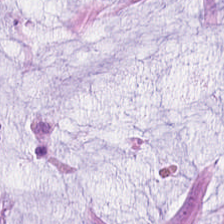FFPE tissue section; brightfield; H&E. The predominant tissue is mucus.
